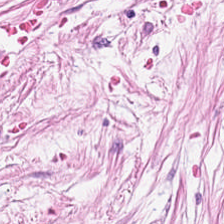The tissue here is cancer-associated stroma.
